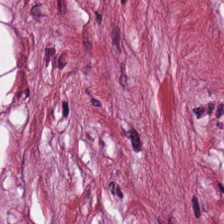{"tissue_type": "tumor stroma"}
